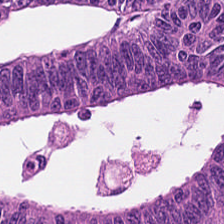0.5 microns per pixel; H&E stain.
The predominant tissue is colorectal adenocarcinoma epithelium.
